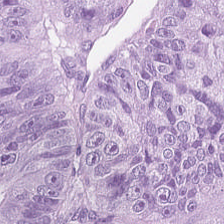Hematoxylin and eosin. The tissue here is colorectal adenocarcinoma epithelium.
